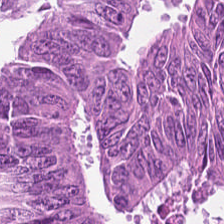H&E stain; formalin-fixed paraffin-embedded section.
This patch shows tumor epithelium.
